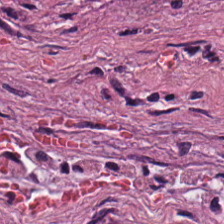Q: Identify the tissue.
A: This is cancer-associated stroma.
